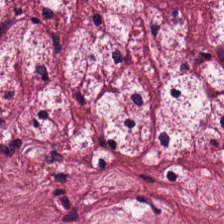The tissue here is cancer-associated stroma.
